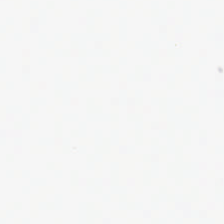H&E-stained tissue section — Classification: background.
